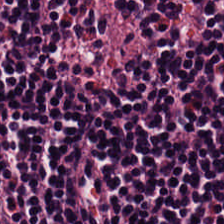Whole-slide-image patch. Hematoxylin and eosin.
Impression — lymphoid infiltrate.
